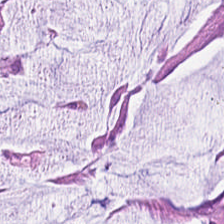This patch shows extracellular mucin.
